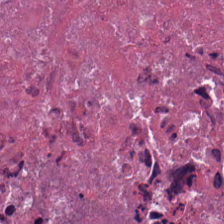Showing debris.
